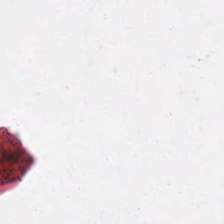H&E. Q: What does this patch show?
A: The field shows background.
